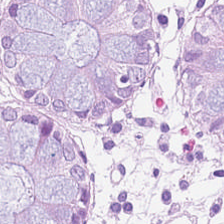Hematoxylin and eosin — The tissue here is normal colonic mucosa.
